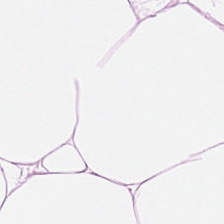Predominantly fat tissue.
